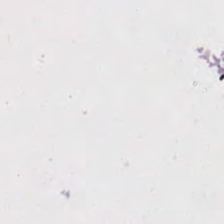This patch shows background (no tissue).
